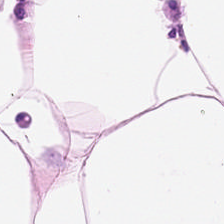{"tissue_type": "adipose tissue"}
